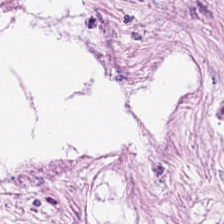Tissue type: cancer-associated stroma.
